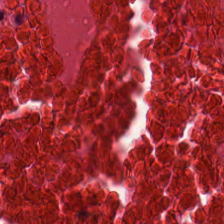Brightfield microscopy · H&E-stained tissue section. Tissue class: debris.
